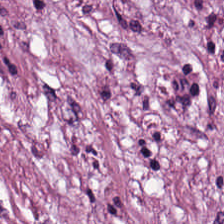Hematoxylin-and-eosin stained section. Tissue class — tumor stroma.
